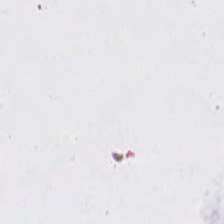Hematoxylin and eosin. Formalin-fixed paraffin-embedded section. Empty field — no tissue.
